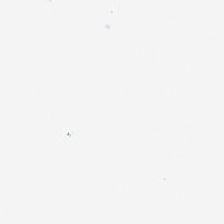Impression → background.
